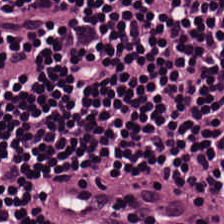H&E. Histology → lymphoid infiltrate.
